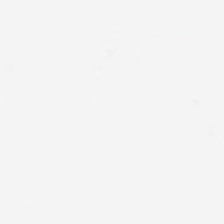Hematoxylin-and-eosin stained section. 224×224 px tile. 0.5 µm per pixel.
Classification = empty background.
